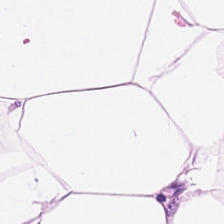H&E.
Q: What tissue type is shown here?
A: It is fat tissue.
